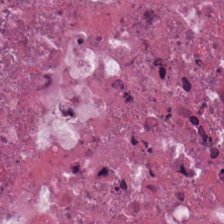Hematoxylin-and-eosin stained section. Q: What is shown in this field?
A: Necrotic debris.
